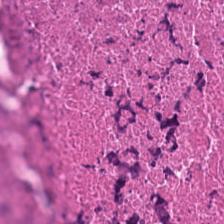H&E.
Impression → necrotic debris.
